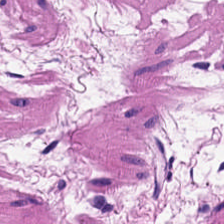Hematoxylin and eosin. 0.5 microns per pixel. WSI patch.
Q: What tissue is shown?
A: It is muscularis.
